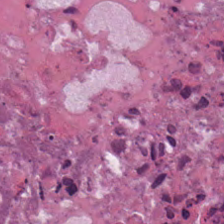0.5 µm/px; H&E — Showing debris.
